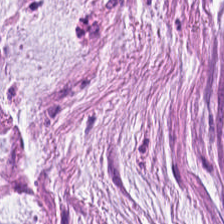Whole-slide-image patch; hematoxylin and eosin. Predominant tissue: extracellular mucin.
